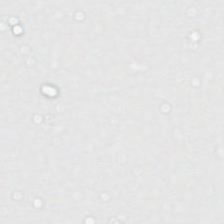Background — no tissue in this field.
